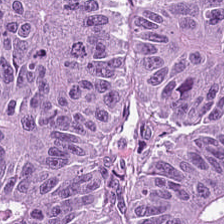Stain: hematoxylin and eosin.
Preparation: formalin-fixed paraffin-embedded section.
Tissue type: colorectal adenocarcinoma epithelium.
